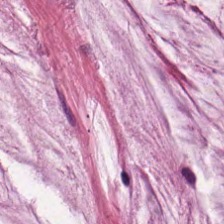The tissue type is extracellular mucin.
